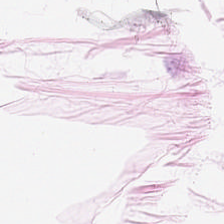H&E-stained tissue section. Showing adipocytes.
